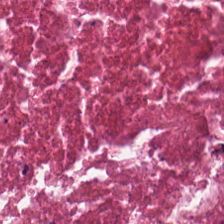The tissue here is necrotic debris.
